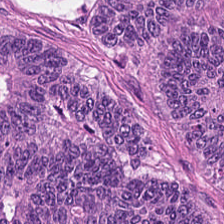224×224 px tile · H&E-stained tissue section. Predominantly tumor epithelium.
